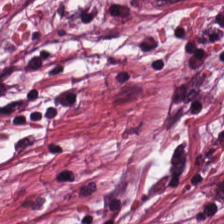224×224 pixel tile · hematoxylin and eosin — Predominant tissue: desmoplastic stroma.
